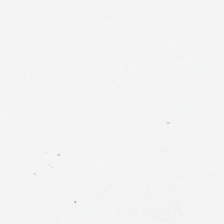H&E stain.
Empty background.
